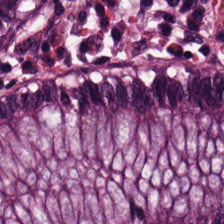H&E-stained tissue section · 224×224 pixel tile. Finding → benign colonic mucosa.
